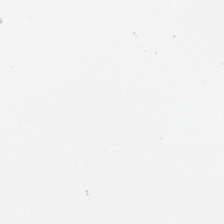Hematoxylin-and-eosin stained section — Finding — no tissue.
